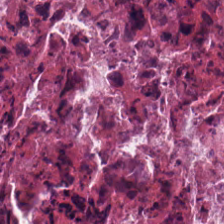224×224 px patch. H&E. Classification: necrotic debris.
